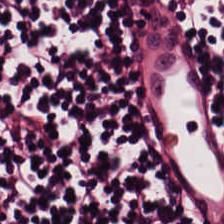Hematoxylin-and-eosin stained section.
Showing lymphocytes.
